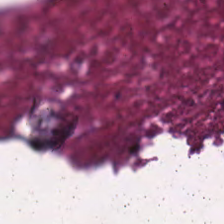H&E — Q: What is the predominant tissue type?
A: The field shows debris.
